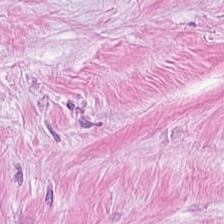Stain: hematoxylin and eosin.
Predominant tissue: tumor stroma.
